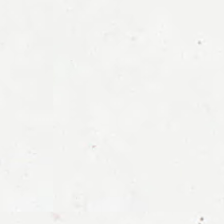Impression — empty background.
